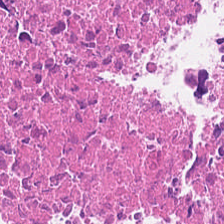Brightfield microscopy; hematoxylin and eosin. Showing cellular debris.
